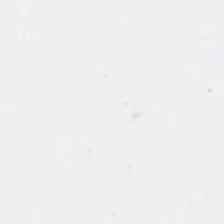0.5 microns per pixel. H&E-stained tissue section. The field content is no tissue.
